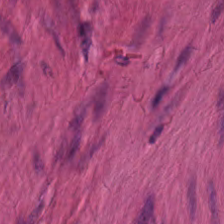Stain: H&E stain.
Predominant tissue: smooth muscle.
